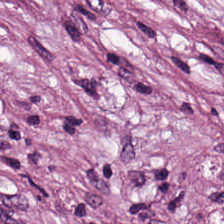Hematoxylin and eosin. 224×224 px patch — Showing tumor-associated stroma.
